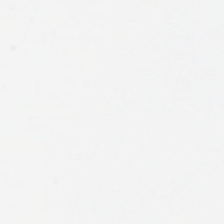Q: Classify this patch.
A: This is background (no tissue).
